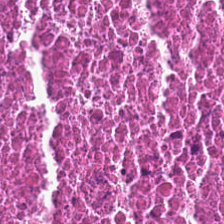H&E patch showing debris.
